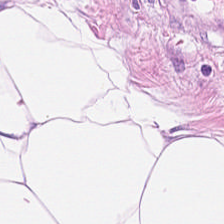FFPE. H&E. Whole-slide-image patch — The tissue type is adipose tissue.
